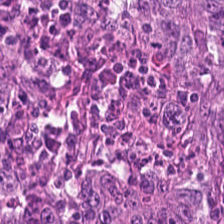224×224 pixel tile · H&E-stained tissue section — Histology — malignant epithelium.
